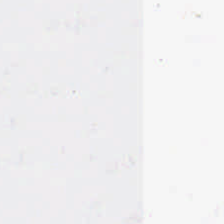Field content: no tissue.
